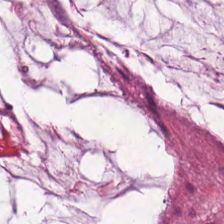Hematoxylin-and-eosin stained section · formalin-fixed paraffin-embedded section · 224×224 px patch.
Mucin.
